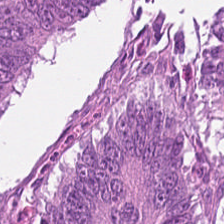0.5 µm/px; hematoxylin-and-eosin stained section. Predominant tissue = adenocarcinoma.
